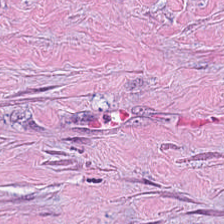The tissue here is desmoplastic stroma.
